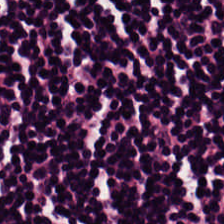Brightfield microscopy · hematoxylin and eosin. The predominant tissue is lymphocyte aggregate.
